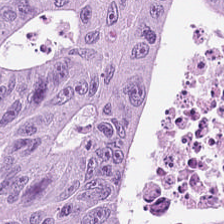Finding → tumor epithelium.
